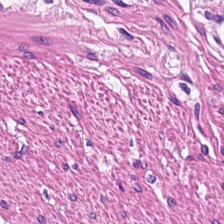Classification — smooth muscle.
